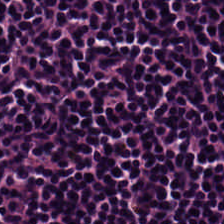H&E-stained tissue section — The predominant tissue is lymphocytic infiltrate.
